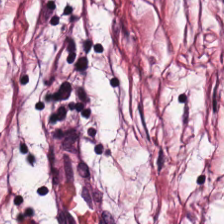H&E-stained tissue section showing cancer-associated stroma.
